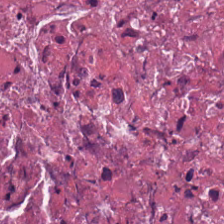H&E — The predominant tissue is debris.
